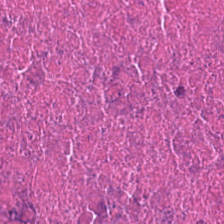H&E patch showing necrotic debris.
